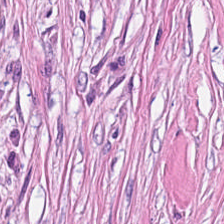Hematoxylin and eosin. Desmoplastic stroma.
